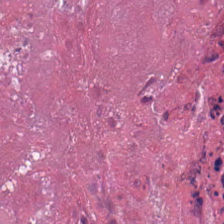WSI patch · H&E stain — Classification — debris.
